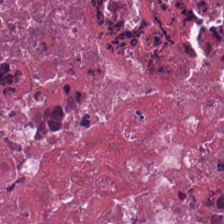FFPE; H&E stain; 20× equivalent magnification — Impression → cellular debris.
